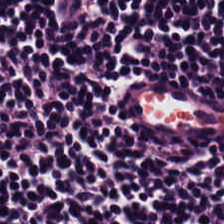H&E. Lymphocyte aggregate.
